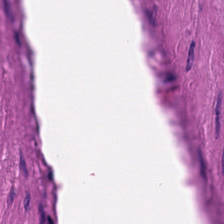Q: What is shown in this field?
A: This is muscularis.
